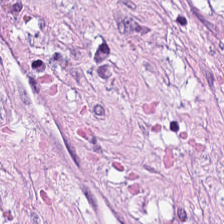H&E stain. This patch shows tumor stroma.
